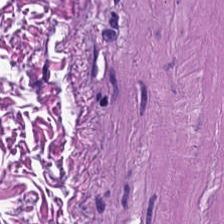H&E patch showing muscularis.
